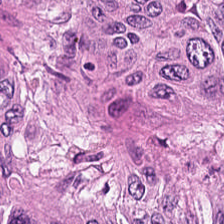Hematoxylin-and-eosin stained section — Showing malignant epithelium.
